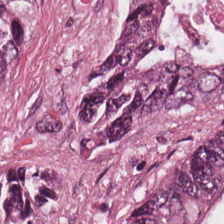Brightfield. Hematoxylin-and-eosin stained section. The tissue here is colorectal adenocarcinoma epithelium.
